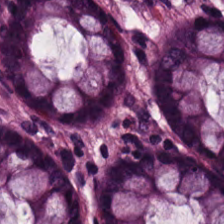H&E-stained tissue section. Predominant tissue: normal colonic mucosa.
